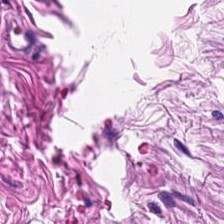Hematoxylin-and-eosin stained section · 0.5 µm per pixel · 224×224 px tile — The classification is smooth muscle.
